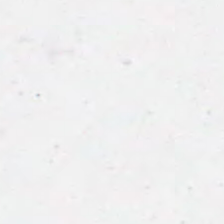Empty field — background (no tissue).
